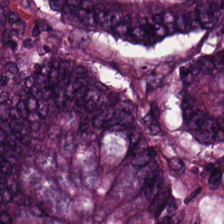Hematoxylin-and-eosin stained section · WSI patch.
Classification — adenocarcinoma.
